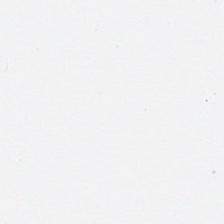H&E — Impression — no tissue.
